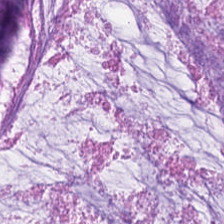FFPE; hematoxylin-and-eosin stained section. Histology — mucin.
